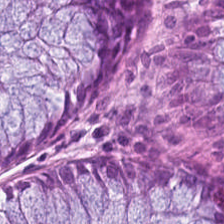H&E-stained tissue section — {"tissue_type": "normal colon mucosa"}
